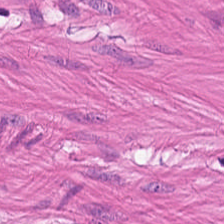0.5 µm/px · hematoxylin and eosin.
The tissue here is muscularis.
